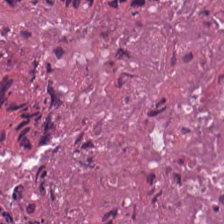224×224 px patch · hematoxylin-and-eosin stained section. Tissue — necrotic debris.
